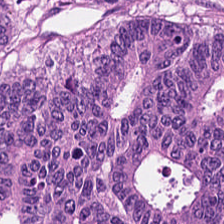H&E-stained tissue section — Tissue type: adenocarcinoma.
